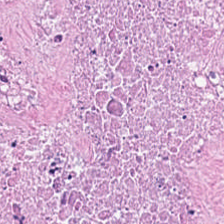Hematoxylin and eosin; 224×224 px patch; brightfield microscopy — Predominantly cellular debris.
